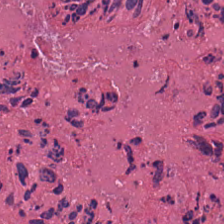Hematoxylin-and-eosin stained section · 0.5 microns per pixel. Histology — necrotic debris.
